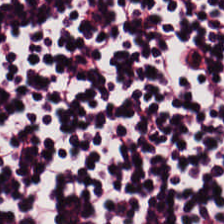Hematoxylin and eosin; 20× equivalent magnification — Tissue type = lymphocytes.
